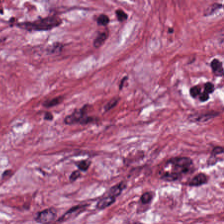20× equivalent magnification; hematoxylin and eosin. Impression → desmoplastic stroma.
